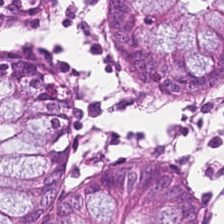H&E-stained tissue section — The tissue here is benign colonic mucosa.
